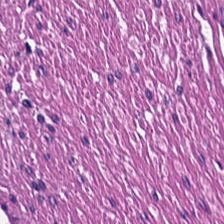0.5 µm per pixel; WSI patch; hematoxylin-and-eosin stained section.
This field is smooth-muscle tissue.
